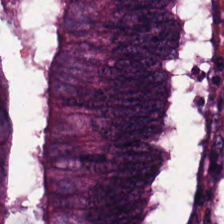Tissue type = adenocarcinoma.
